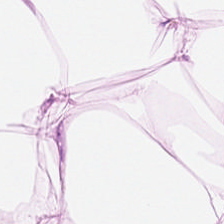H&E.
Predominantly fat tissue.
